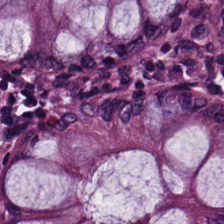Stain: H&E.
Classification: benign colonic mucosa.
